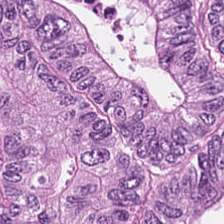Colorectal adenocarcinoma epithelium.
